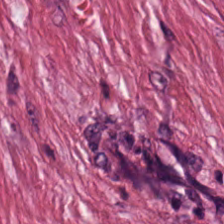0.5 µm/px. Hematoxylin and eosin.
Finding — tumor-associated stroma.
